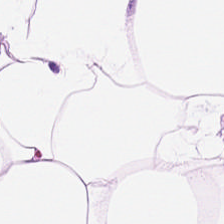Hematoxylin and eosin · 0.5 µm per pixel. This patch shows fat tissue.
